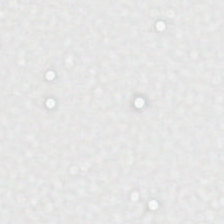H&E. FFPE. 224×224 px tile. Empty field — background.
